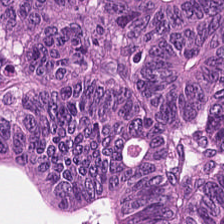Hematoxylin-and-eosin stained section — Q: What type of tissue is this?
A: The field shows colorectal adenocarcinoma.
